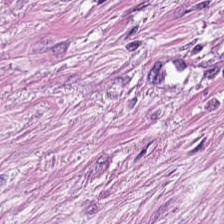H&E-stained tissue section; brightfield; 0.5 µm per pixel.
Tissue — tumor stroma.
